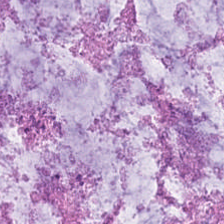H&E stain — Showing mucin.
